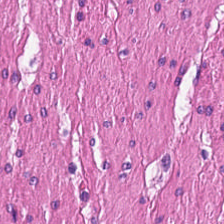{"tissue_type": "muscularis"}
